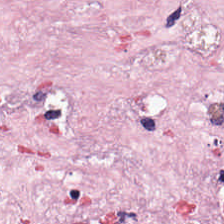Tissue type — cancer-associated stroma.
